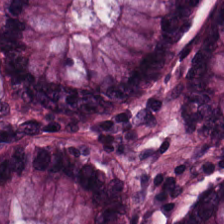H&E-stained tissue section. FFPE.
Histology — normal colonic mucosa.
